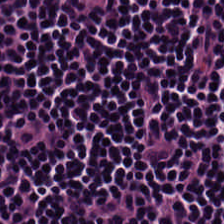Lymphoid infiltrate.
